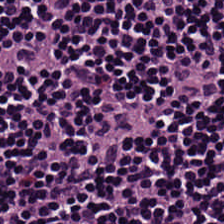H&E stain. 0.5 µm per pixel. This patch shows lymphocytic infiltrate.
